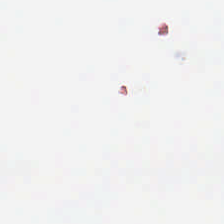0.5 µm/px; hematoxylin and eosin — The content is background (no tissue).
